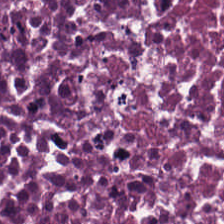Stain: H&E stain.
Tissue class: cellular debris.
